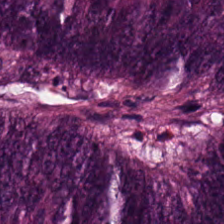Stain: H&E.
Tile size: 224×224 px patch.
Tissue class: tumor epithelium.
